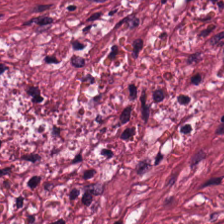Hematoxylin and eosin.
Q: What is shown here?
A: It is tumor stroma.
